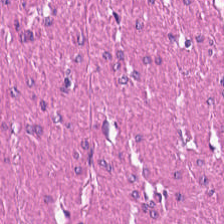Stain: H&E.
Tile size: 224×224 pixel tile.
Resolution: 0.5 microns per pixel.
Tissue: muscularis.
